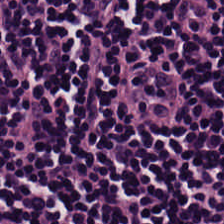0.5 microns per pixel · H&E — Lymphocytes.
